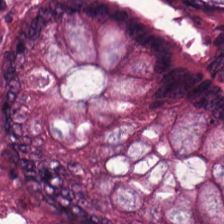Hematoxylin-and-eosin stained section. Showing benign colonic mucosa.
